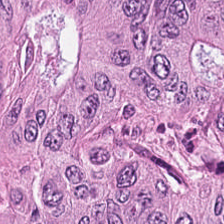H&E stain. 0.5 µm per pixel. Histology → colorectal adenocarcinoma epithelium.
